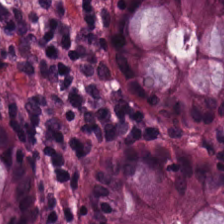Hematoxylin-and-eosin stained section. Q: What does this patch show?
A: The field shows normal colon mucosa.
